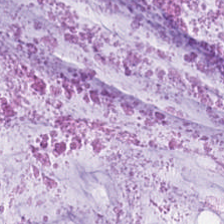H&E patch showing extracellular mucin.
